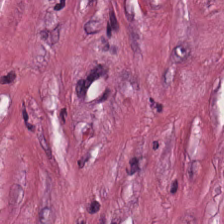Stain: hematoxylin and eosin.
Classification: tumor-associated stroma.
